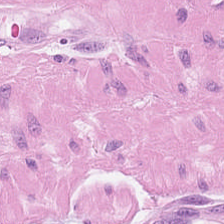Stain: H&E stain.
Resolution: 0.5 µm per pixel.
Acquisition: WSI patch.
Classification: muscularis.
